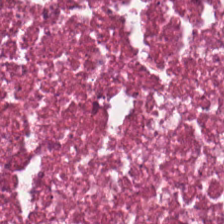Stain: H&E.
Resolution: 0.5 µm/px.
Tissue: cellular debris.
